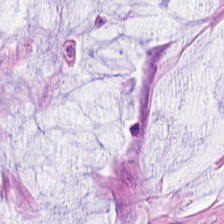Showing extracellular mucin.
